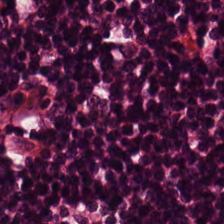H&E-stained tissue section showing lymphocytic infiltrate.
